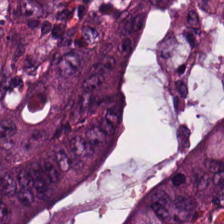H&E. The classification is tumor epithelium.
